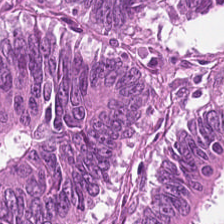H&E stain. The classification is colorectal adenocarcinoma epithelium.
